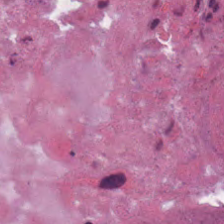H&E stain · WSI patch. {"tissue_type": "cellular debris"}
